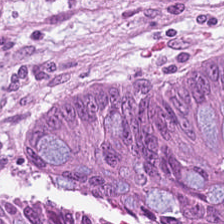Predominant tissue = adenocarcinoma.
